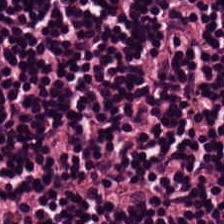H&E stain. {"tissue_type": "lymphocytes"}
